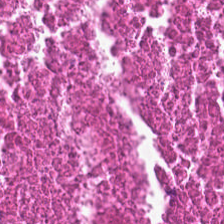20× equivalent magnification. H&E.
Histology — debris.
